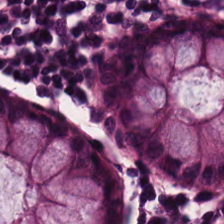Hematoxylin and eosin — Finding → normal colonic mucosa.
